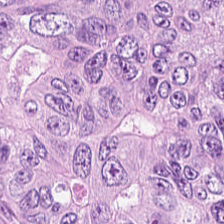FFPE; H&E stain.
This field is colorectal adenocarcinoma.
